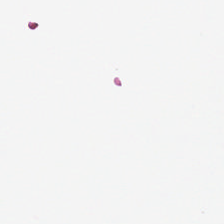H&E. Background (no tissue).
